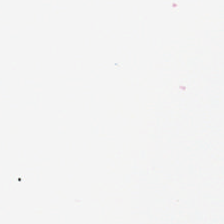H&E-stained tissue section; 224×224 px tile; 0.5 µm per pixel. No tissue present; background only.
